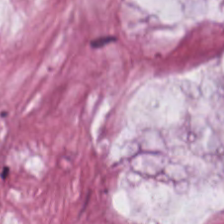Stain: hematoxylin-and-eosin stained section.
Classification: mucin.
